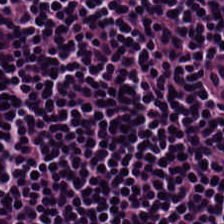Hematoxylin-and-eosin stained section · 224×224 px tile. The classification is lymphocytic infiltrate.
